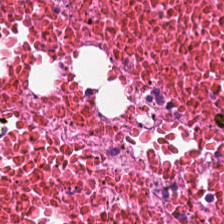0.5 µm/px; 224×224 pixel tile; hematoxylin and eosin. Q: What is shown here?
A: This is necrotic debris.
